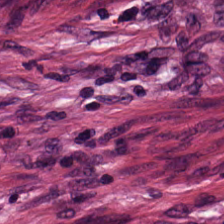Q: What is shown here?
A: Desmoplastic stroma.
